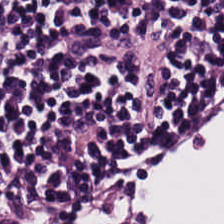H&E stain. The predominant tissue is lymphoid infiltrate.
